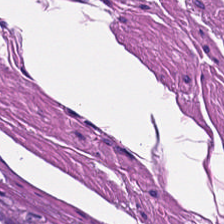Hematoxylin-and-eosin stained section. 224×224 px patch. This field is muscularis.
